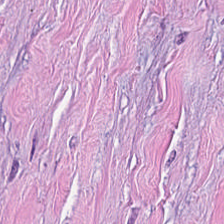H&E. 0.5 microns per pixel. Formalin-fixed paraffin-embedded section. Q: What is the predominant tissue type?
A: It is tumor stroma.
